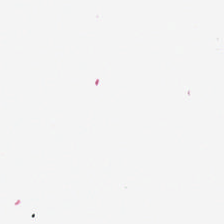H&E-stained tissue section. Empty field — empty background.
